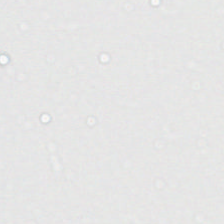0.5 microns per pixel. 224×224 px tile. Hematoxylin-and-eosin stained section.
This patch shows empty background.
